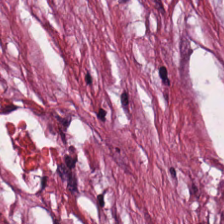H&E-stained tissue section · 0.5 µm/px · 224×224 px patch — {"tissue_type": "desmoplastic stroma"}
